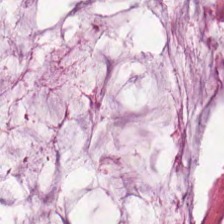H&E patch showing mucus.
